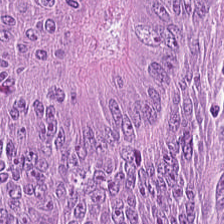This field is tumor epithelium.
